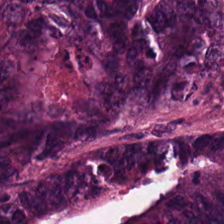H&E stain — Predominant tissue = adenocarcinoma.
